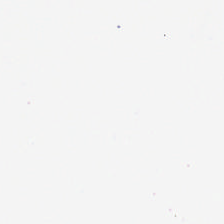Content — empty background.
